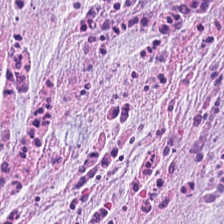H&E-stained tissue section. Q: Identify the tissue.
A: This is tumor-associated stroma.
